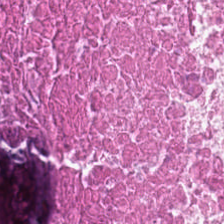224×224 pixel tile · H&E · FFPE tissue section — The tissue type is debris.
